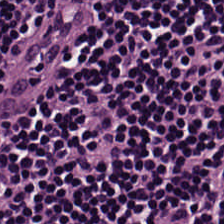Hematoxylin-and-eosin stained section — Showing lymphocytic infiltrate.
